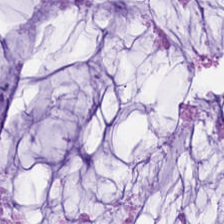FFPE · H&E stain — Tissue class — extracellular mucin.
